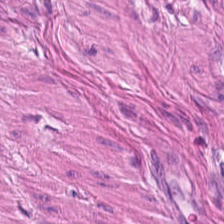Hematoxylin and eosin. The predominant tissue is smooth muscle.
